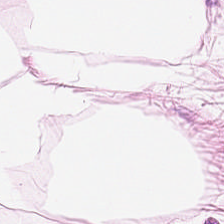H&E — adipose.
